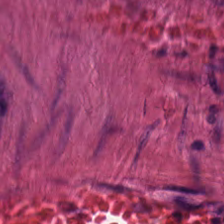H&E; 224×224 pixel tile. Q: What does this patch show?
A: Smooth muscle.
